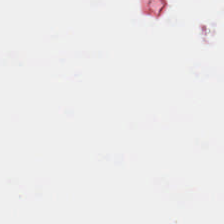Hematoxylin and eosin. The classification is background (no tissue).
